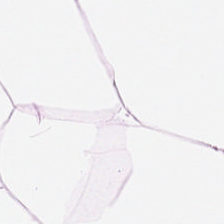Stain: hematoxylin and eosin.
Tile size: 224×224 pixel tile.
Acquisition: brightfield microscopy.
Tissue: adipose.
